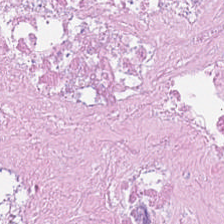Stain: H&E stain.
Acquisition: WSI patch.
Tissue class: debris.
